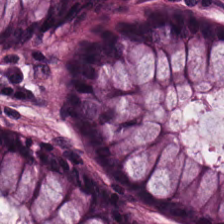Brightfield · H&E-stained tissue section. Q: Classify this patch.
A: The field shows benign colonic mucosa.
